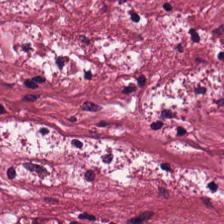H&E — Desmoplastic stroma.
